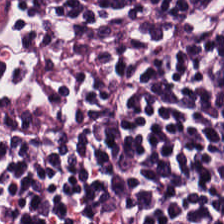H&E-stained tissue section.
The predominant tissue is lymphocytic infiltrate.
